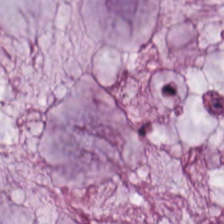Hematoxylin-and-eosin stained section. The predominant tissue is mucus.
